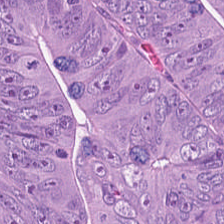Stain: H&E stain.
Classification: adenocarcinoma.
